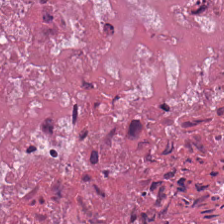FFPE · hematoxylin and eosin — The tissue type is debris.
